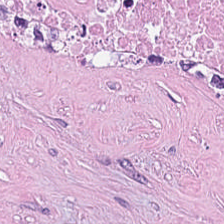Hematoxylin and eosin. 224×224 px tile. Showing necrotic debris.
